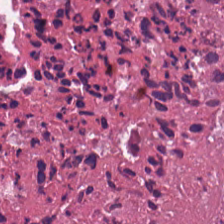H&E. FFPE tissue section. Predominantly necrotic debris.
